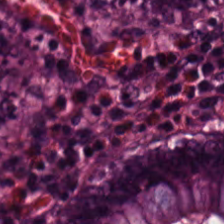Hematoxylin-and-eosin stained section — Predominantly normal colon mucosa.
